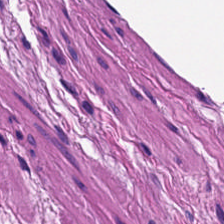Q: What type of tissue is this?
A: The field shows smooth muscle.
